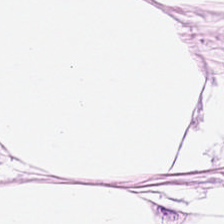{"tissue_type": "fat tissue"}
